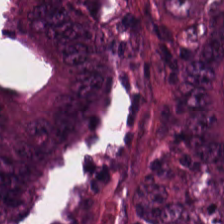0.5 µm per pixel. FFPE tissue section. H&E stain — Adenocarcinoma.
